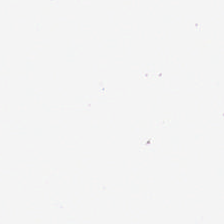0.5 microns per pixel; H&E stain; WSI patch.
Q: What is shown here?
A: It is no tissue.
